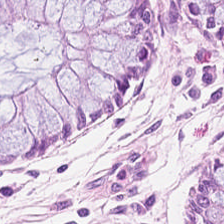FFPE · H&E stain — This field is normal colon mucosa.
